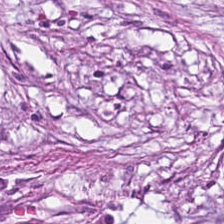H&E-stained tissue section · brightfield microscopy. Tissue type = cancer-associated stroma.
